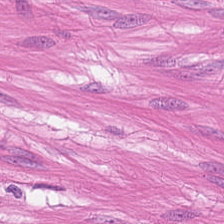Stain: H&E stain.
Classification: smooth muscle.
